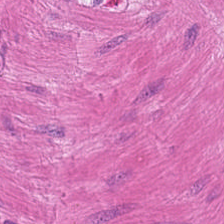H&E stain — Finding → muscularis.
